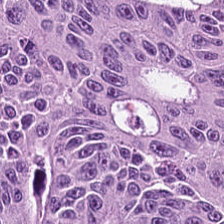Hematoxylin-and-eosin stained section — Tissue class — colorectal adenocarcinoma epithelium.
